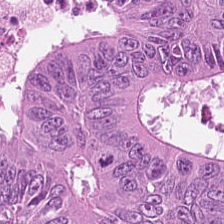Stain: hematoxylin and eosin.
Preparation: FFPE.
Tissue: adenocarcinoma.
